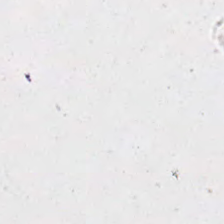H&E. FFPE tissue section.
Impression — empty background.
